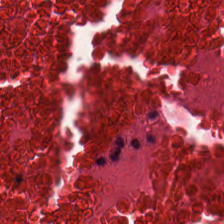Stain: hematoxylin and eosin.
Acquisition: brightfield.
Tissue class: necrotic debris.
